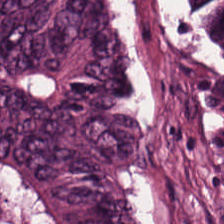Tissue class: colorectal adenocarcinoma.
